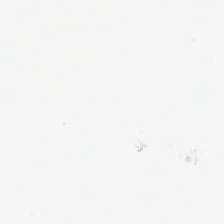No tissue present; background only.
